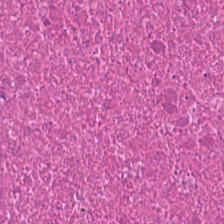H&E.
The tissue here is debris.
